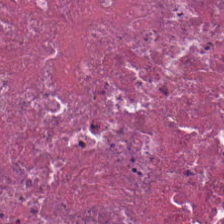H&E-stained tissue section showing debris.
